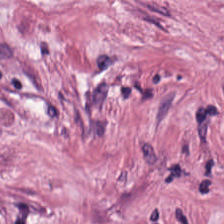Brightfield · H&E — The tissue here is tumor-associated stroma.
